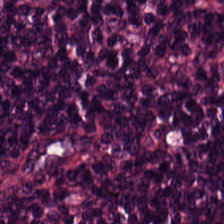H&E stain. 0.5 µm/px.
Showing lymphocyte aggregate.
